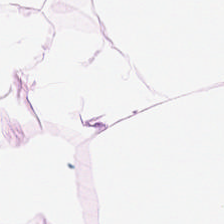Hematoxylin and eosin. Adipocytes.
